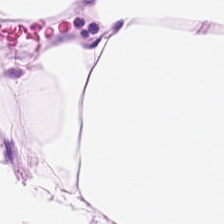Hematoxylin-and-eosin stained section · 224×224 px patch.
The classification is adipose.
